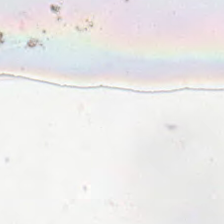H&E stain. 0.5 µm per pixel — This patch shows empty background.
